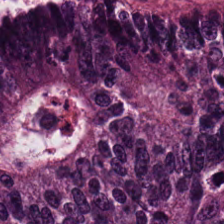H&E stain.
Q: What tissue type is shown here?
A: The field shows colorectal adenocarcinoma.
